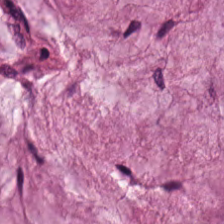H&E-stained tissue section.
Tissue class = extracellular mucin.
